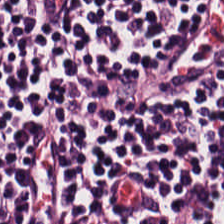H&E stain; 224×224 px patch; 0.5 microns per pixel. The tissue type is lymphoid infiltrate.
